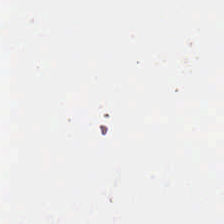Content — background.
